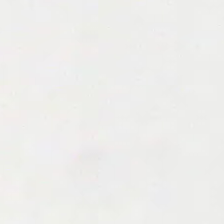Empty field — background.
